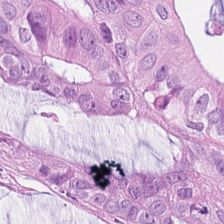0.5 µm per pixel. H&E-stained tissue section. This field is colorectal adenocarcinoma epithelium.
